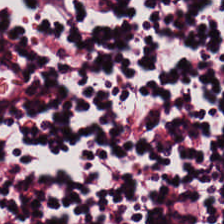H&E stain. Impression → lymphocytes.
